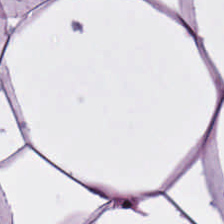H&E stain. Showing fat tissue.
